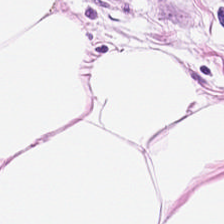Finding → adipose tissue.
